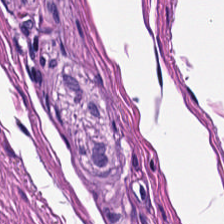H&E — Predominant tissue — smooth muscle.
